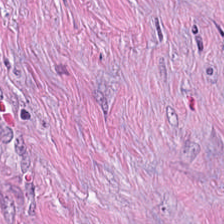Hematoxylin-and-eosin stained section — Tumor-associated stroma.
